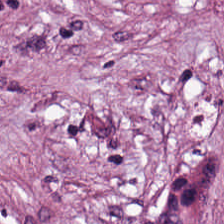H&E-stained tissue section showing cancer-associated stroma.
